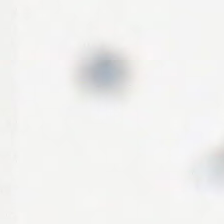Whole-slide-image patch. FFPE tissue section. H&E stain — This patch shows no tissue.
